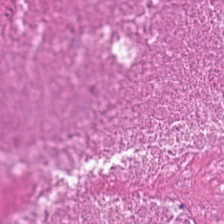Hematoxylin and eosin.
Q: What is shown here?
A: Cellular debris.
